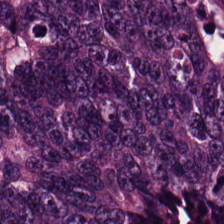Predominantly colorectal adenocarcinoma epithelium.
